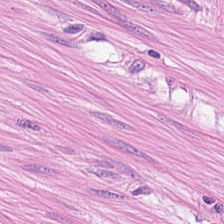H&E-stained section; the field shows muscularis.
